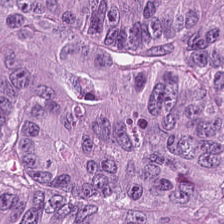Impression — malignant epithelium.
